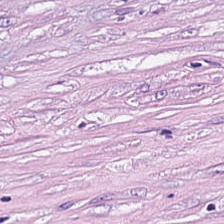H&E stain. The tissue here is desmoplastic stroma.
